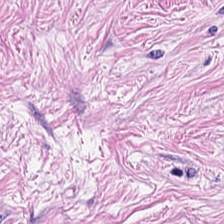Hematoxylin and eosin — Finding → tumor-associated stroma.
